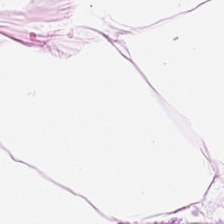20× equivalent magnification; hematoxylin-and-eosin stained section; 224×224 px patch. Q: What tissue is shown?
A: The field shows adipose tissue.
